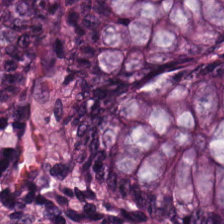Showing non-neoplastic colon mucosa.
